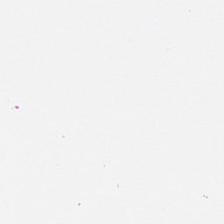Hematoxylin and eosin; whole-slide-image patch. Q: What does this patch show?
A: It is background (no tissue).
